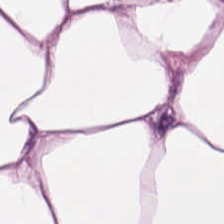Stain: H&E.
Predominant tissue: adipose tissue.
